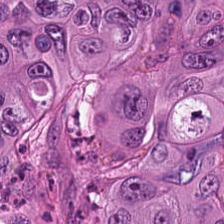H&E stain. 0.5 µm/px. 224×224 px patch.
Tissue = adenocarcinoma.
